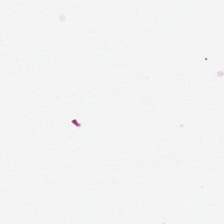{"content": "empty background"}
